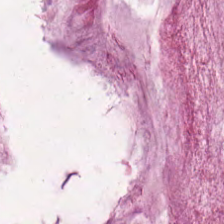H&E-stained tissue section — Histology → extracellular mucin.
